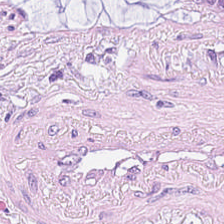FFPE tissue section · WSI patch · H&E.
Q: What is shown here?
A: The field shows mucus.
